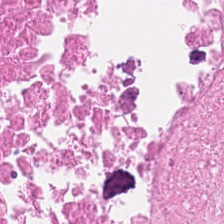H&E-stained tissue section.
Showing cellular debris.
